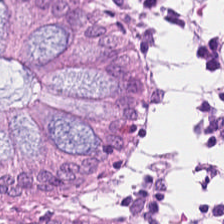H&E-stained tissue section. Predominantly normal colonic mucosa.
